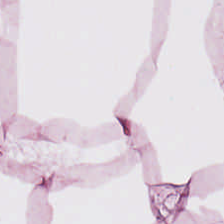Whole-slide-image patch · H&E-stained tissue section. Tissue type — adipose.
